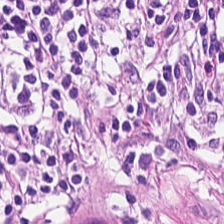H&E stain; FFPE tissue section.
This patch shows lymphocyte aggregate.
